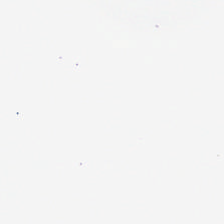20× equivalent magnification · H&E · 224×224 pixel tile — Q: What is shown in this field?
A: It is background.
